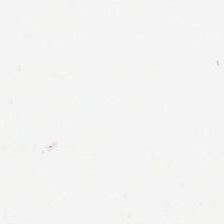H&E stain.
Background (no tissue).
